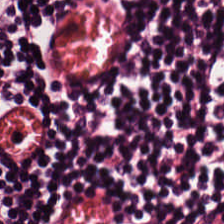H&E-stained tissue section.
Impression — lymphocytic infiltrate.
